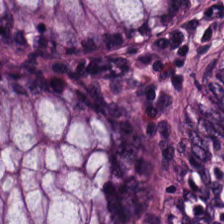Impression → normal colon mucosa.
